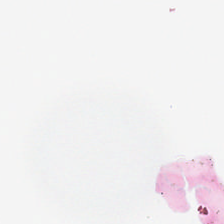Empty field — no tissue.
